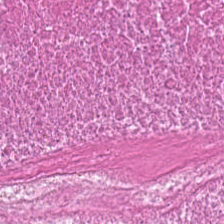H&E stain — Impression — necrotic debris.
